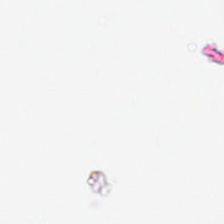Content: background (no tissue).
